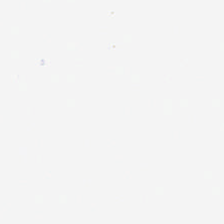H&E-stained tissue section. 20× equivalent magnification. Brightfield microscopy.
Classification = background.
